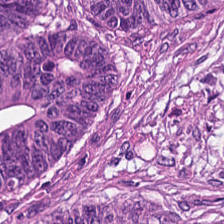0.5 µm/px. H&E stain. WSI patch. Showing adenocarcinoma.
